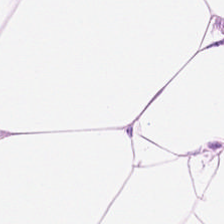Impression — adipose tissue.
